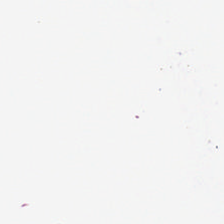No tissue present; background only.
